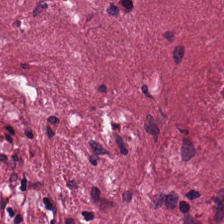Showing desmoplastic stroma.
